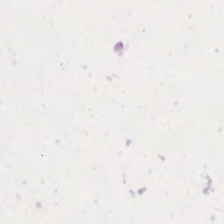H&E; FFPE tissue section; 224×224 pixel tile.
Classification = empty background.
